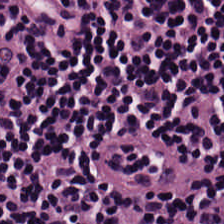Hematoxylin-and-eosin section: lymphoid infiltrate.
